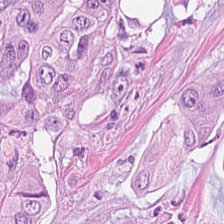H&E stain. Formalin-fixed paraffin-embedded section — The tissue here is tumor epithelium.
